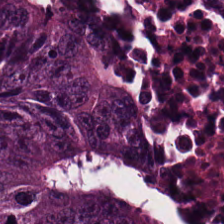Hematoxylin and eosin.
{"tissue_type": "tumor epithelium"}
